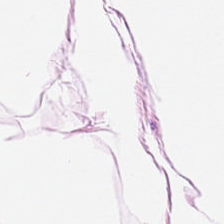H&E-stained tissue section — Predominantly adipose.
